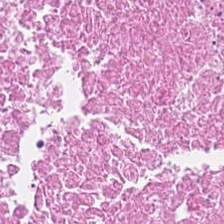H&E-stained tissue section — Predominantly debris.
